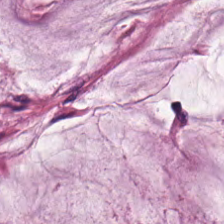FFPE tissue section; hematoxylin and eosin.
The predominant tissue is mucus.
